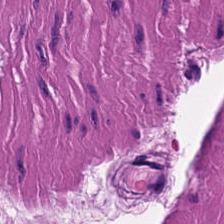H&E-stained tissue section. Tissue type: muscularis.
